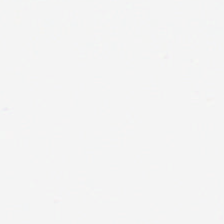Stain: H&E stain.
Field content: background.
